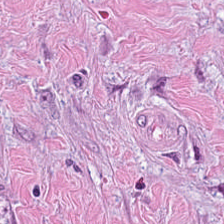H&E-stained tissue section · FFPE tissue section · 0.5 µm per pixel.
Classification = cancer-associated stroma.
